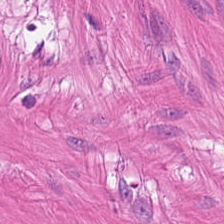Hematoxylin and eosin — Predominant tissue: smooth muscle.
